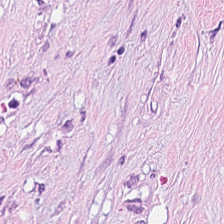Stain: H&E.
Classification: desmoplastic stroma.
